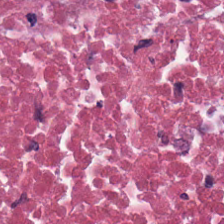H&E stain — Tissue type: cellular debris.
